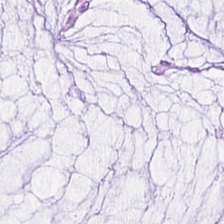Stain: H&E stain.
Acquisition: brightfield microscopy.
Tissue class: mucus.
